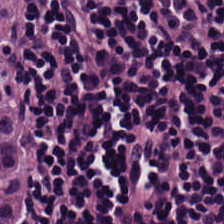224×224 px patch. H&E-stained tissue section. FFPE tissue section. Impression → lymphoid infiltrate.
